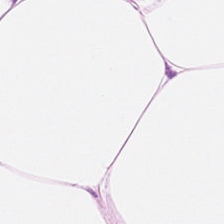Stain: hematoxylin-and-eosin stained section.
Tile size: 224×224 px tile.
Predominant tissue: fat tissue.
